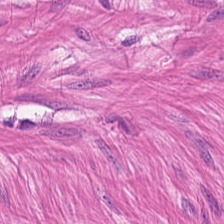Stain: hematoxylin-and-eosin stained section.
Acquisition: whole-slide-image patch.
Tissue type: muscularis.
